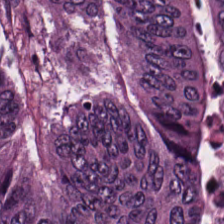Hematoxylin-and-eosin stained section; FFPE tissue section — The predominant tissue is malignant epithelium.
